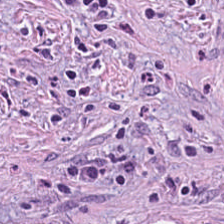H&E-stained tissue section. Brightfield.
Tissue class — tumor stroma.
